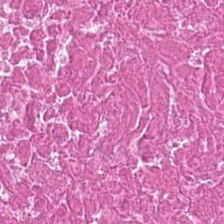0.5 µm/px. H&E. Tissue class — cellular debris.
